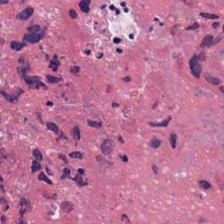FFPE; H&E; 0.5 microns per pixel. Finding — debris.
